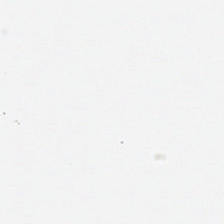{"content": "background (no tissue)"}
